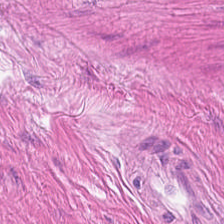{"tissue_type": "smooth-muscle tissue"}
